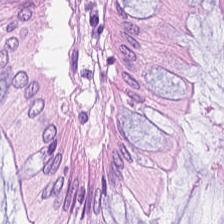FFPE tissue section. H&E-stained tissue section. Predominantly benign colonic mucosa.
